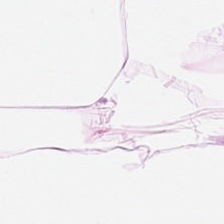Predominant tissue: adipocytes.
